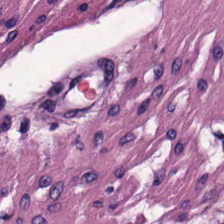H&E-stained tissue section.
This field is smooth-muscle tissue.
